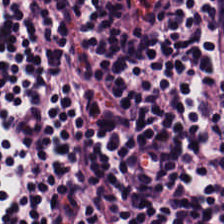0.5 microns per pixel. H&E. Brightfield microscopy — This patch shows lymphocytic infiltrate.
